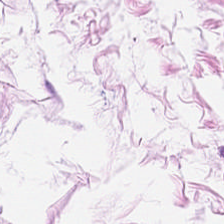The predominant tissue is adipose.
